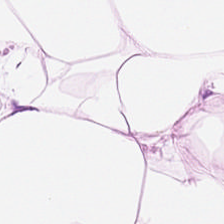Stain: hematoxylin and eosin.
Tile size: 224×224 px tile.
Tissue: adipocytes.
